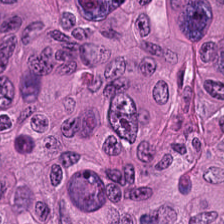Q: Classify this patch.
A: Malignant epithelium.
